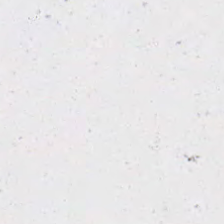H&E-stained tissue section — Q: What is shown here?
A: It is background.
